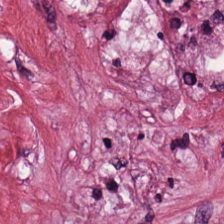Impression → desmoplastic stroma.
